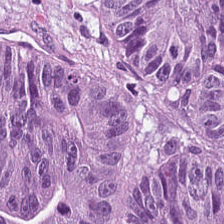224×224 pixel tile. H&E stain. Adenocarcinoma.
